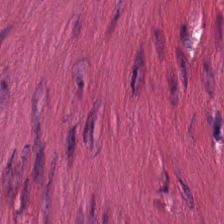Q: Identify the tissue.
A: The field shows smooth muscle.
